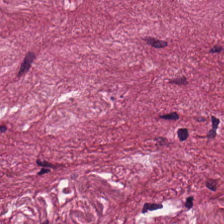Hematoxylin-and-eosin stained section · brightfield — {"tissue_type": "tumor stroma"}
